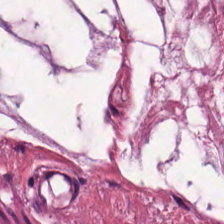{"tissue_type": "extracellular mucin"}
